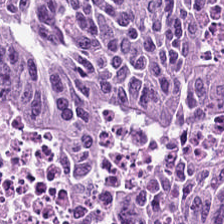Stain: hematoxylin-and-eosin stained section.
Tissue type: tumor epithelium.
